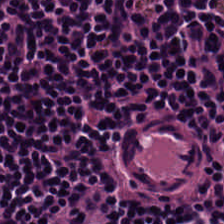Formalin-fixed paraffin-embedded section. Hematoxylin-and-eosin stained section — Q: What is the predominant tissue type?
A: It is lymphocytic infiltrate.
